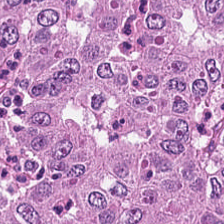FFPE tissue section. 224×224 px patch. H&E stain.
Q: What does this patch show?
A: It is colorectal adenocarcinoma epithelium.
